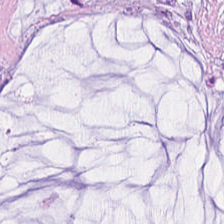Hematoxylin and eosin · FFPE tissue section. Q: What tissue is shown?
A: The field shows mucin.
